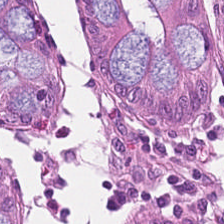224×224 px patch · whole-slide-image patch · hematoxylin and eosin. Histology — benign colonic mucosa.
